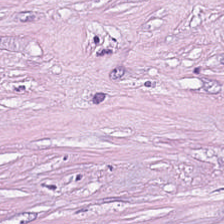Formalin-fixed paraffin-embedded section · brightfield microscopy · H&E — The tissue class is cancer-associated stroma.
